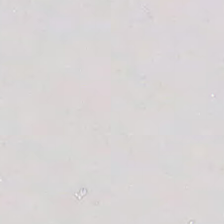The content is background (no tissue).
